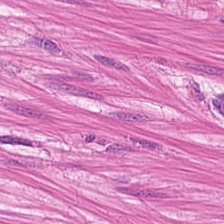This field is smooth muscle.
